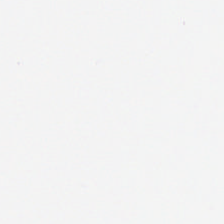Finding → empty background.
